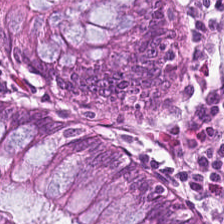224×224 px tile · hematoxylin and eosin — Finding → normal colonic mucosa.
